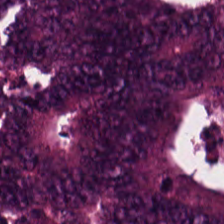Hematoxylin and eosin. Predominantly malignant epithelium.
